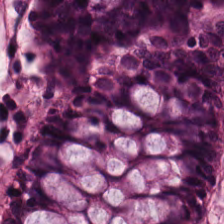224×224 px patch; hematoxylin and eosin; 0.5 microns per pixel — The tissue here is benign colonic mucosa.
